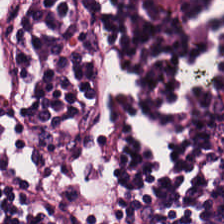FFPE · 0.5 microns per pixel · hematoxylin and eosin. Q: Identify the tissue.
A: The field shows lymphocytes.
